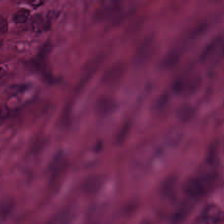H&E stain.
Predominant tissue = desmoplastic stroma.
